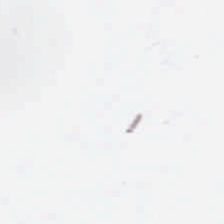H&E-stained tissue section.
The content is no tissue.
